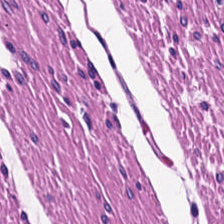Hematoxylin-and-eosin stained section — This patch shows smooth-muscle tissue.
